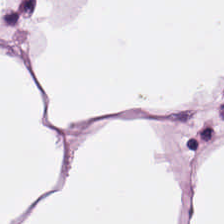Hematoxylin-and-eosin stained section; whole-slide-image patch; 20× equivalent magnification — Predominant tissue: adipocytes.
